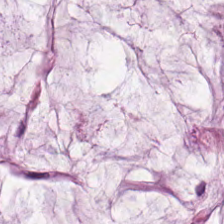Q: What is shown here?
A: The field shows mucin.
